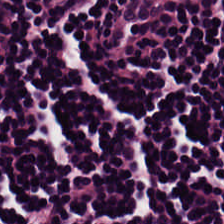Tissue type = lymphoid infiltrate.
